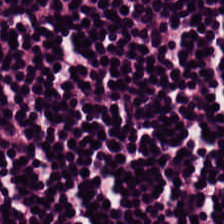Brightfield. Hematoxylin and eosin. 0.5 microns per pixel. The predominant tissue is lymphocytic infiltrate.
